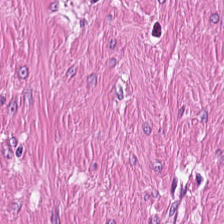H&E stain — Muscularis.
